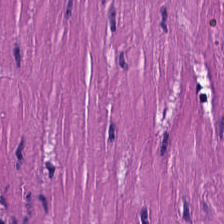0.5 microns per pixel · H&E stain — Predominant tissue: muscularis.
